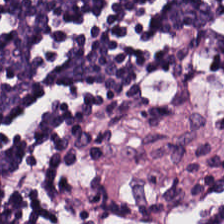H&E. The predominant tissue is lymphoid infiltrate.
